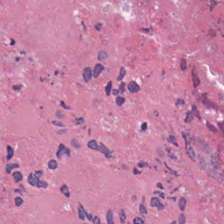224×224 pixel tile; H&E-stained tissue section; brightfield microscopy. Q: What type of tissue is this?
A: This is debris.
